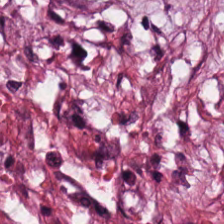H&E · whole-slide-image patch.
Predominant tissue: cancer-associated stroma.
